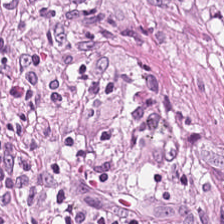Hematoxylin-and-eosin stained section — This patch shows tumor stroma.
